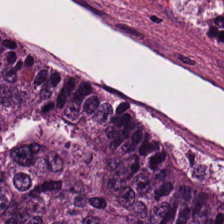H&E stain. Q: What type of tissue is this?
A: The field shows adenocarcinoma.
